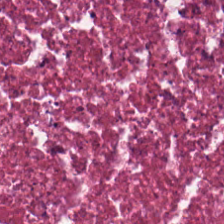Brightfield; 224×224 pixel tile; H&E stain.
The tissue here is debris.
